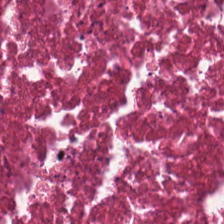Whole-slide-image patch. Hematoxylin and eosin.
Debris.
